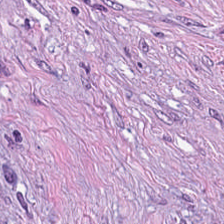Hematoxylin-and-eosin stained section · WSI patch.
Desmoplastic stroma.
